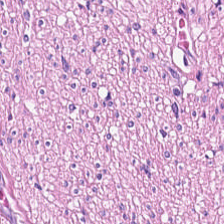H&E-stained tissue section; FFPE tissue section.
The classification is smooth muscle.
